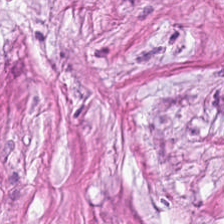H&E-stained tissue section.
This patch shows desmoplastic stroma.
